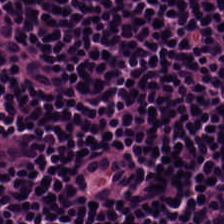Hematoxylin-and-eosin section: lymphocyte aggregate.
